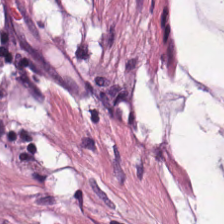H&E. FFPE tissue section.
Classification = extracellular mucin.
